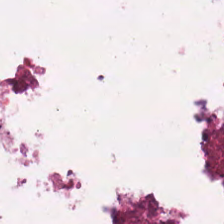Hematoxylin and eosin. Predominantly necrotic debris.
